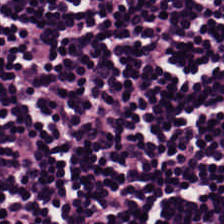Hematoxylin and eosin; 0.5 µm per pixel — The tissue here is lymphocytes.
